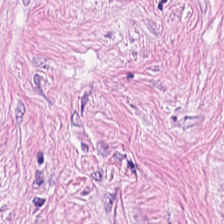224×224 px tile. Hematoxylin-and-eosin stained section — This patch shows tumor-associated stroma.
